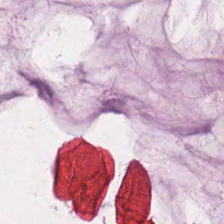Hematoxylin and eosin.
This field is mucin.
